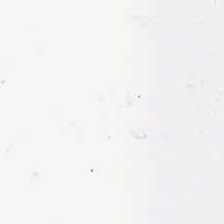Stain: H&E stain.
Classification: background (no tissue).
